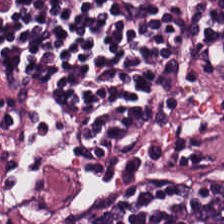Stain: H&E-stained tissue section.
Preparation: formalin-fixed paraffin-embedded section.
Tissue type: lymphocytes.
